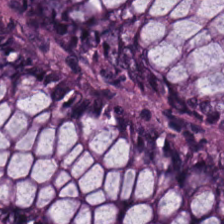H&E stain — Tissue — non-neoplastic colon mucosa.
